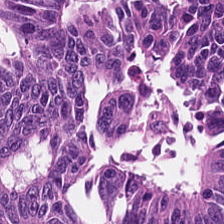Stain: hematoxylin-and-eosin stained section.
Tissue class: adenocarcinoma.
